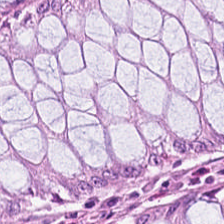Hematoxylin and eosin. Tissue type: normal colon mucosa.
